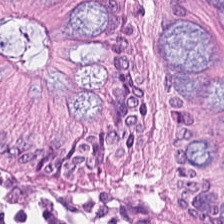H&E-stained tissue section — This field is non-neoplastic colon mucosa.
